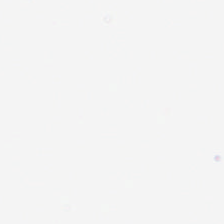Field content: background (no tissue).
